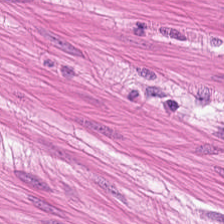H&E · 224×224 px patch — Tissue class: smooth-muscle tissue.
